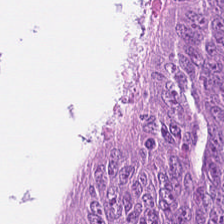Hematoxylin-and-eosin stained section. This field is tumor epithelium.
